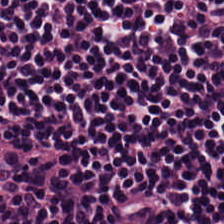Hematoxylin-and-eosin stained section — Lymphocytic infiltrate.
